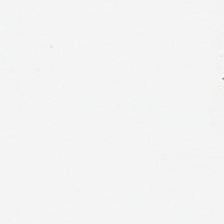Hematoxylin-and-eosin stained section — The field content is background (no tissue).
